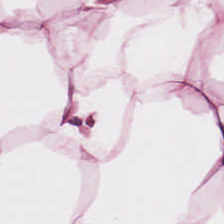Hematoxylin and eosin.
Adipose tissue.
